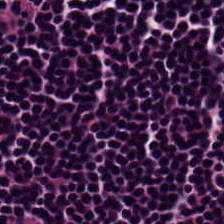Stain: hematoxylin and eosin.
Preparation: formalin-fixed paraffin-embedded section.
Classification: lymphocytic infiltrate.
